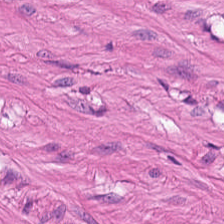FFPE tissue section. Hematoxylin and eosin — Showing smooth-muscle tissue.
